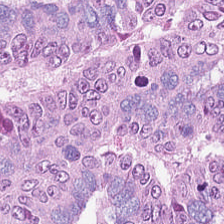H&E stain; FFPE. Tissue type: colorectal adenocarcinoma epithelium.
